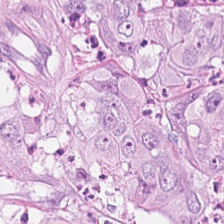H&E · brightfield · FFPE — Predominant tissue — colorectal adenocarcinoma epithelium.
